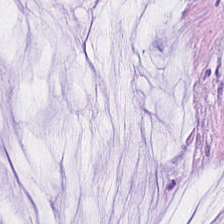Hematoxylin and eosin · 224×224 pixel tile — Q: What is the predominant tissue type?
A: The field shows mucin.
